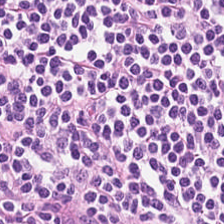H&E stain — This patch shows lymphocyte aggregate.
